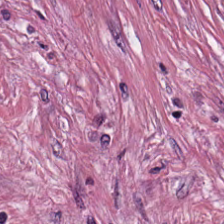Stain: H&E stain.
Resolution: 0.5 µm/px.
Acquisition: brightfield microscopy.
Classification: cancer-associated stroma.
